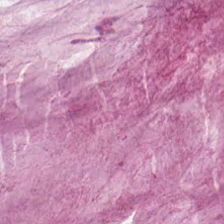Q: What is shown in this field?
A: It is mucin.
